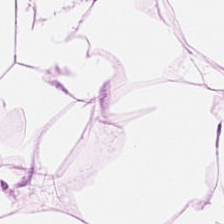Stain: H&E stain.
Predominant tissue: fat tissue.
